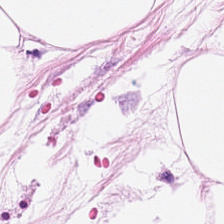H&E-stained tissue section.
Tissue = fat tissue.
